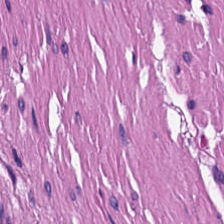Hematoxylin and eosin; whole-slide-image patch. Q: Classify this patch.
A: It is muscularis.
